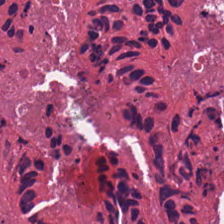H&E-stained tissue section — Predominantly cellular debris.
